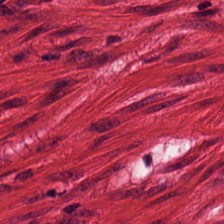Q: What is shown in this field?
A: This is smooth-muscle tissue.
